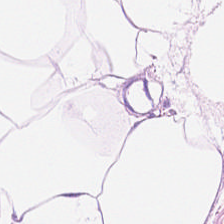H&E-stained tissue section. Finding — adipocytes.
